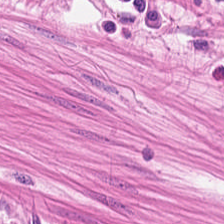Predominantly smooth muscle.
